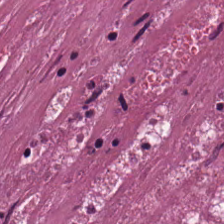H&E — Predominantly cellular debris.
